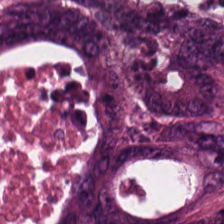Q: What type of tissue is this?
A: It is colorectal adenocarcinoma epithelium.
